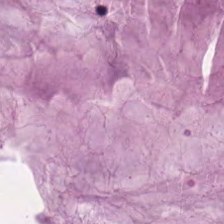Brightfield microscopy · hematoxylin-and-eosin stained section. Mucin.
